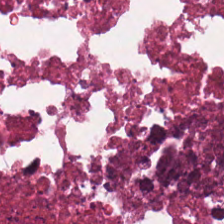224×224 pixel tile · H&E stain · 20× equivalent magnification.
Predominant tissue — cellular debris.
